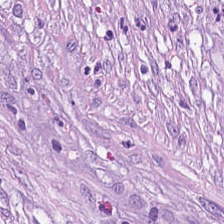Hematoxylin and eosin; WSI patch. This field is cancer-associated stroma.
